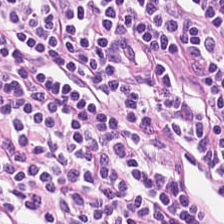Stain: H&E-stained tissue section.
Predominant tissue: lymphocyte aggregate.
